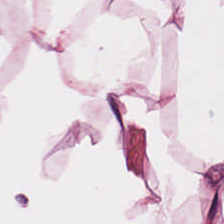Hematoxylin-and-eosin stained section — Tissue class — adipose.
